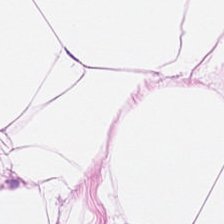Hematoxylin-and-eosin stained section. This field is adipose tissue.
